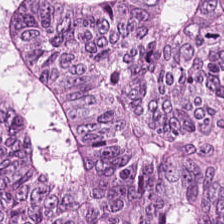Q: What is shown in this field?
A: It is tumor epithelium.
